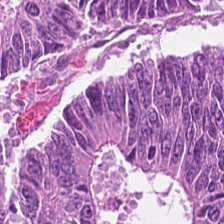H&E patch showing colorectal adenocarcinoma.
